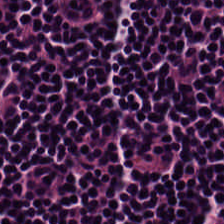Tissue type — lymphocytes.
